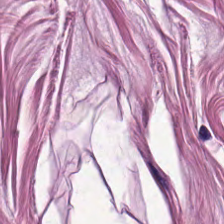H&E.
Predominant tissue = muscularis.
